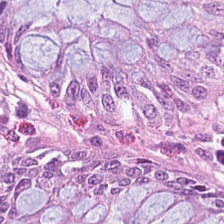Formalin-fixed paraffin-embedded section · hematoxylin-and-eosin stained section · 224×224 pixel tile.
{"tissue_type": "benign colonic mucosa"}
